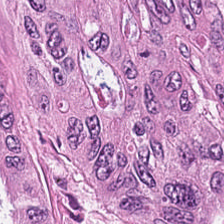FFPE tissue section; H&E; 224×224 pixel tile — This patch shows adenocarcinoma.
